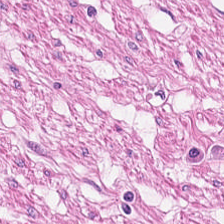Hematoxylin-and-eosin stained section. Impression — smooth muscle.
